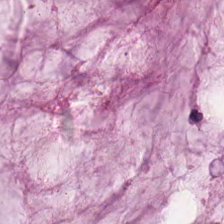H&E; FFPE tissue section; 0.5 µm per pixel.
The tissue here is mucin.
